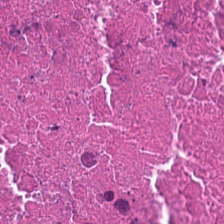Q: Classify this patch.
A: The field shows necrotic debris.
